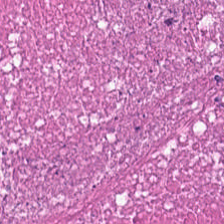Hematoxylin and eosin. Tissue: necrotic debris.
